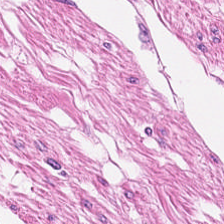Predominant tissue: muscularis.
